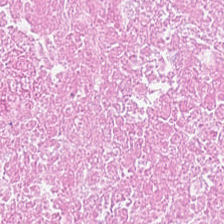Hematoxylin and eosin; brightfield microscopy. Classification: cellular debris.
